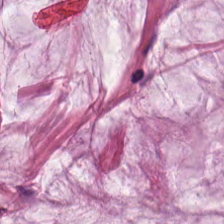Stain: H&E-stained tissue section.
Tissue: mucin.
